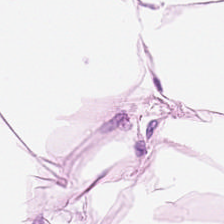The tissue type is adipose tissue.
